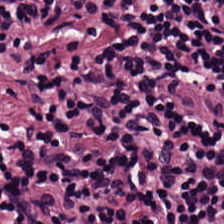{"tissue_type": "lymphocytic infiltrate"}
